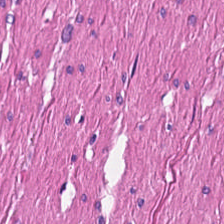The classification is muscularis.
